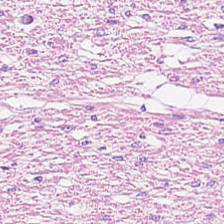H&E · 224×224 pixel tile.
This patch shows muscularis.
